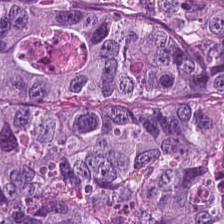Formalin-fixed paraffin-embedded section · H&E-stained tissue section · 0.5 µm/px — Tissue type — colorectal adenocarcinoma epithelium.
